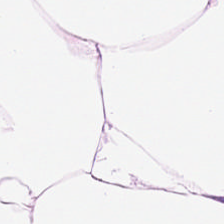H&E-stained tissue section — This field is adipose.
